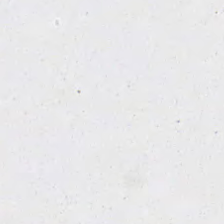H&E — This patch shows background (no tissue).
